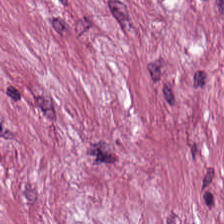Stain: H&E.
Tissue: cancer-associated stroma.
